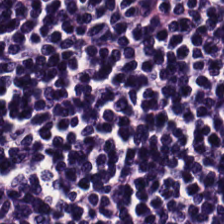224×224 px tile. H&E-stained tissue section — Tissue class — lymphocytes.
